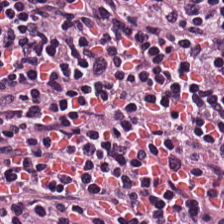Brightfield microscopy · H&E-stained tissue section. Tissue — lymphoid infiltrate.
